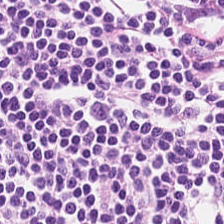224×224 px patch · H&E · FFPE tissue section — Q: What is shown here?
A: The field shows lymphocyte aggregate.
